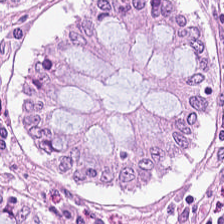This patch shows benign colonic mucosa.
